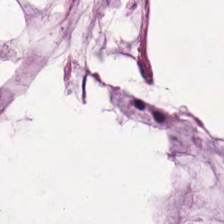0.5 µm/px; H&E.
The tissue here is mucin.
